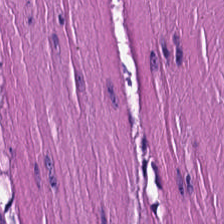Brightfield microscopy. H&E.
Predominantly muscularis.
